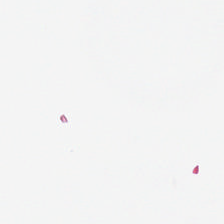H&E-stained tissue section. Background (no tissue).
